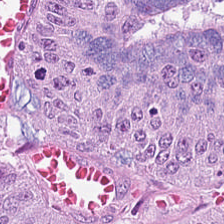H&E-stained section; the field shows tumor epithelium.
